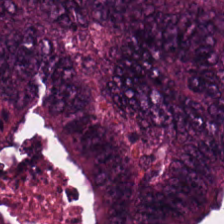Brightfield. Hematoxylin-and-eosin stained section. This patch shows adenocarcinoma.
